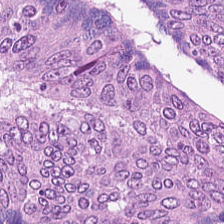H&E-stained tissue section; FFPE — The tissue here is colorectal adenocarcinoma.
